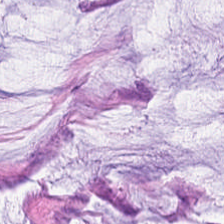H&E stain — The predominant tissue is mucin.
